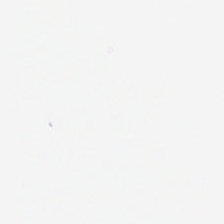H&E-stained tissue section. Empty field — no tissue.
